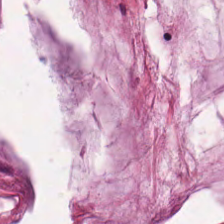224×224 px patch · hematoxylin-and-eosin stained section — Impression — extracellular mucin.
